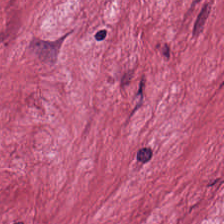Hematoxylin-and-eosin stained section. Histology → desmoplastic stroma.
